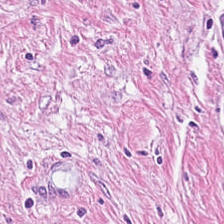Hematoxylin and eosin — {"tissue_type": "desmoplastic stroma"}
